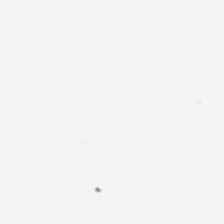Stain: H&E stain.
Classification: background (no tissue).
